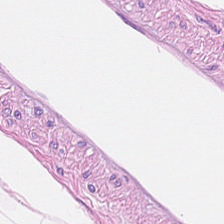The tissue is fat tissue.
